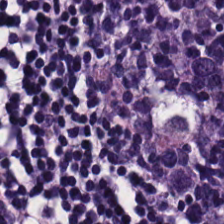Stain: hematoxylin and eosin.
Preparation: FFPE.
Tissue type: lymphocytes.
